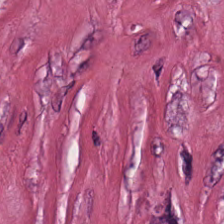H&E-stained tissue section.
Tissue: desmoplastic stroma.
